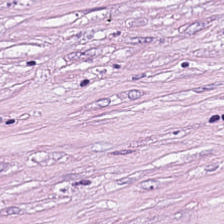Hematoxylin-and-eosin stained section.
Showing tumor-associated stroma.
